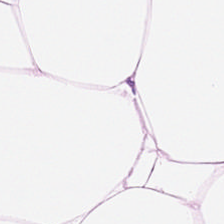Hematoxylin-and-eosin stained section. Q: What tissue type is shown here?
A: It is adipocytes.
